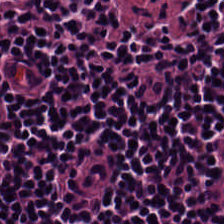H&E-stained tissue section. Predominant tissue: lymphocyte aggregate.
